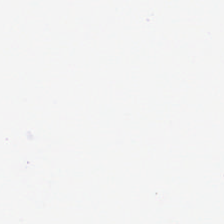H&E stain.
Background — no tissue in this field.
